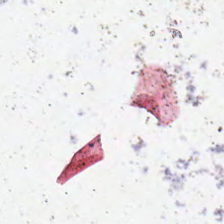WSI patch. H&E. 0.5 µm per pixel. Empty field — empty background.
